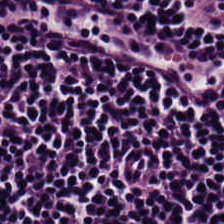Stain: hematoxylin and eosin.
Acquisition: brightfield.
Preparation: formalin-fixed paraffin-embedded section.
Tissue type: lymphocytic infiltrate.
